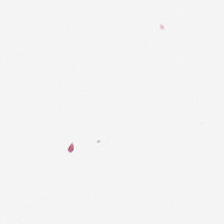Brightfield microscopy · hematoxylin-and-eosin stained section. Q: What is shown here?
A: Background (no tissue).
